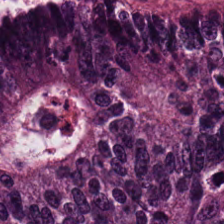Hematoxylin-and-eosin stained section. The tissue here is adenocarcinoma.
